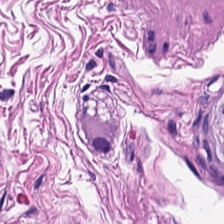Finding — smooth muscle.
